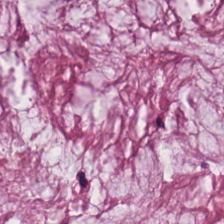H&E-stained tissue section. {"tissue_type": "mucus"}
